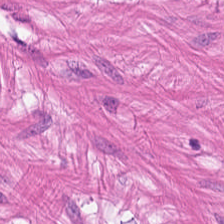{"tissue_type": "muscularis"}
